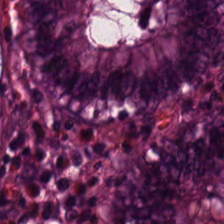H&E patch showing normal colon mucosa.
